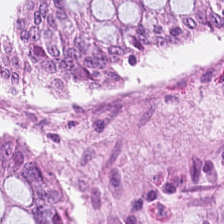Hematoxylin-and-eosin stained section. WSI patch — Q: Classify this patch.
A: This is normal colon mucosa.
